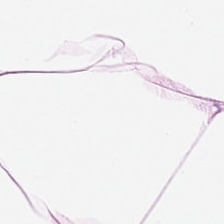Hematoxylin-and-eosin stained section · 224×224 pixel tile · FFPE.
Predominantly fat tissue.
